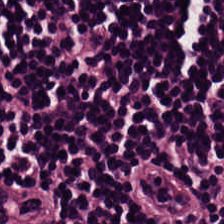Formalin-fixed paraffin-embedded section · H&E. The tissue class is lymphocytes.
